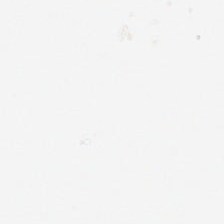H&E. Background — no tissue in this field.
